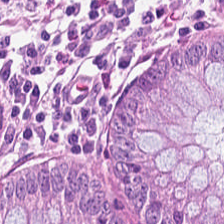H&E stain. 0.5 µm/px.
Tissue: normal colonic mucosa.
